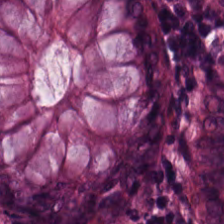H&E; 0.5 µm/px. Tissue class — normal colonic mucosa.
